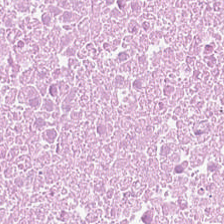WSI patch. H&E-stained tissue section.
Q: What is the predominant tissue type?
A: The field shows necrotic debris.
